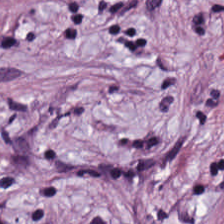224×224 px tile · H&E. This patch shows cancer-associated stroma.
